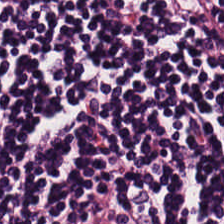H&E · formalin-fixed paraffin-embedded section. Q: What does this patch show?
A: The field shows lymphocytes.
